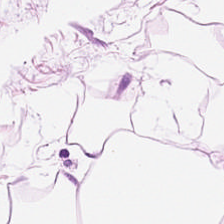FFPE tissue section; H&E stain — This patch shows adipocytes.
